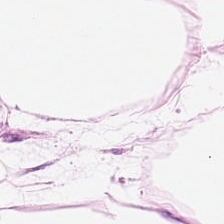Stain: hematoxylin-and-eosin stained section.
Tissue type: adipose tissue.
